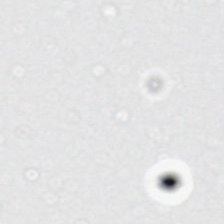H&E · 224×224 px patch · brightfield. This field is background (no tissue).
